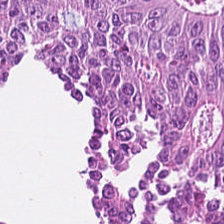Q: What is the predominant tissue type?
A: Adenocarcinoma.
